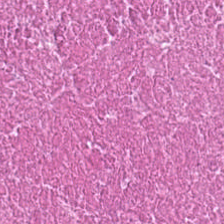Predominantly cellular debris.
